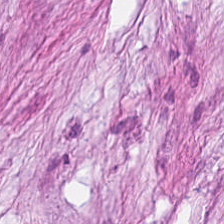Hematoxylin and eosin. 224×224 pixel tile.
Q: What tissue type is shown here?
A: The field shows desmoplastic stroma.
